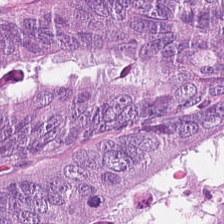H&E-stained tissue section. 224×224 px patch — The tissue here is tumor epithelium.
